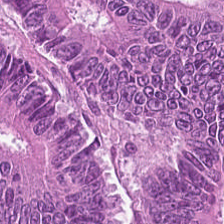H&E stain — Impression → colorectal adenocarcinoma.
